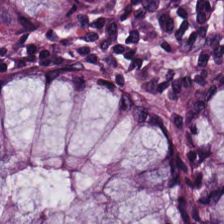H&E; FFPE — Showing non-neoplastic colon mucosa.
